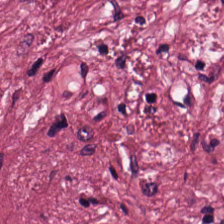Finding → tumor stroma.
